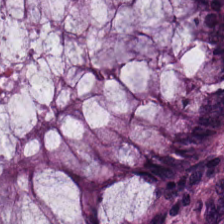H&E. {"tissue_type": "normal colonic mucosa"}
